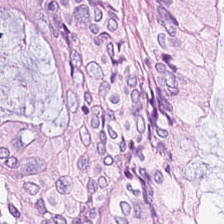Hematoxylin-and-eosin stained section — Predominantly normal colon mucosa.
